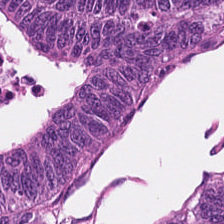Hematoxylin-and-eosin stained section; WSI patch. This field is colorectal adenocarcinoma epithelium.
